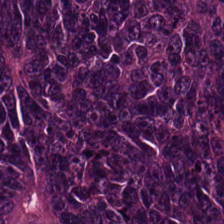Formalin-fixed paraffin-embedded section · 0.5 microns per pixel · H&E — Tissue type = colorectal adenocarcinoma.
